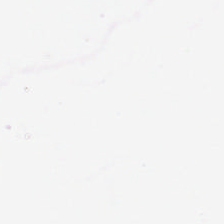Hematoxylin-and-eosin stained section. 224×224 pixel tile. Empty field — background.
